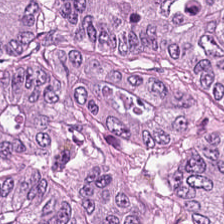H&E-stained tissue section. Showing colorectal adenocarcinoma.
